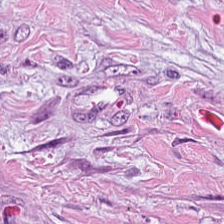Brightfield · H&E.
Q: What is the predominant tissue type?
A: The field shows tumor stroma.
